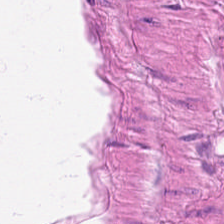H&E stain.
Showing smooth muscle.
